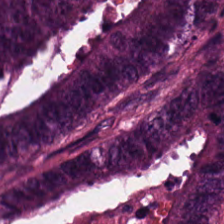Whole-slide-image patch; H&E stain.
Tissue class — tumor epithelium.
